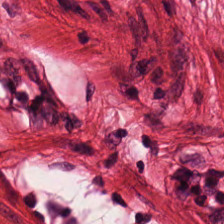{"tissue_type": "smooth-muscle tissue"}
